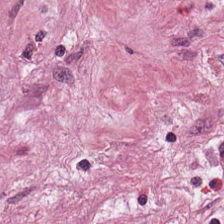Hematoxylin-and-eosin stained section.
Q: Classify this patch.
A: The field shows desmoplastic stroma.
